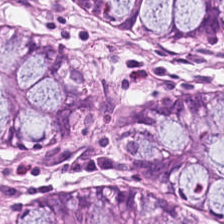H&E-stained tissue section. 224×224 pixel tile — Tissue — normal colonic mucosa.
